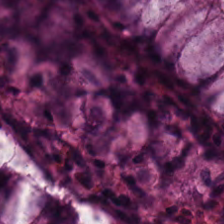Q: Classify this patch.
A: Non-neoplastic colon mucosa.
